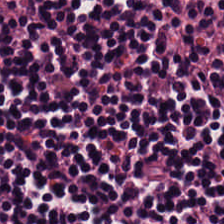0.5 microns per pixel · H&E-stained tissue section. Showing lymphocyte aggregate.
